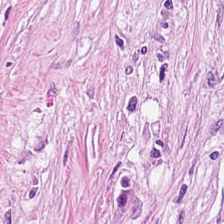Stain: H&E stain.
Tissue class: tumor stroma.
